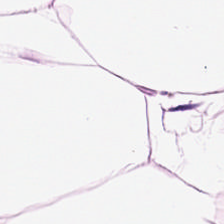FFPE · brightfield microscopy · hematoxylin-and-eosin stained section — Tissue: adipose.
